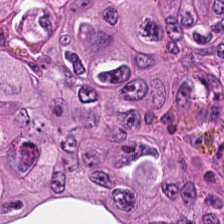H&E. 224×224 px tile. Whole-slide-image patch.
The predominant tissue is malignant epithelium.
